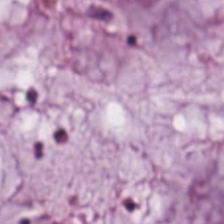Hematoxylin and eosin; 0.5 µm/px.
This field is extracellular mucin.
